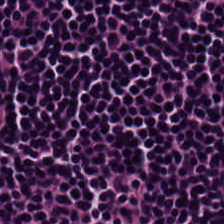Hematoxylin and eosin · 0.5 µm per pixel.
Finding — lymphocyte aggregate.
